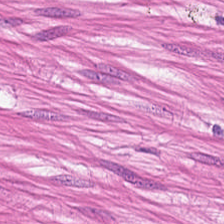224×224 pixel tile. H&E. 20× equivalent magnification.
Predominantly smooth-muscle tissue.
